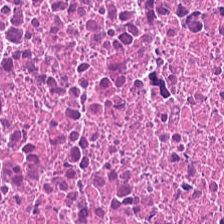0.5 µm per pixel · hematoxylin and eosin.
Impression — necrotic debris.
